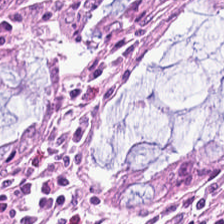Hematoxylin-and-eosin stained section.
The tissue is non-neoplastic colon mucosa.
